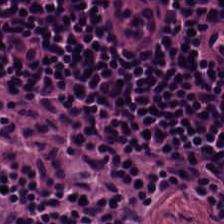H&E. FFPE. Whole-slide-image patch — Predominantly lymphocytes.
